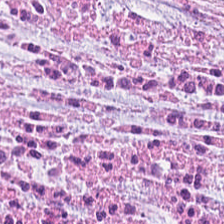Stain: hematoxylin-and-eosin stained section.
Resolution: 0.5 µm/px.
Acquisition: brightfield microscopy.
Tissue: tumor stroma.
